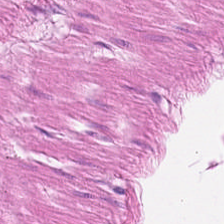H&E stain — The predominant tissue is muscularis.
